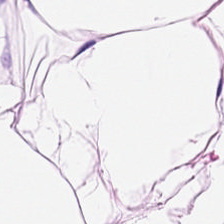Showing adipose.
